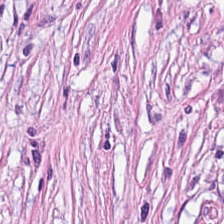224×224 px patch; hematoxylin-and-eosin stained section.
Tumor stroma.
